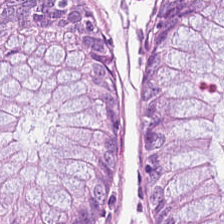0.5 µm per pixel; hematoxylin and eosin — Normal colonic mucosa.
